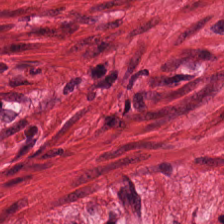H&E-stained tissue section.
Tissue: smooth muscle.
